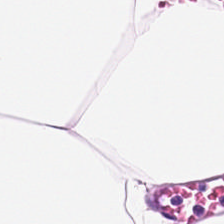Tissue type: fat tissue.
